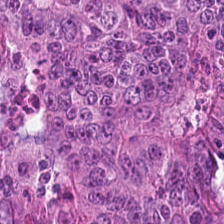Stain: H&E stain.
Tissue: adenocarcinoma.
